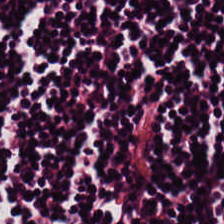Hematoxylin-and-eosin stained section. Lymphocytes.
